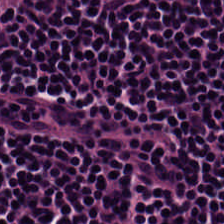H&E — Tissue = lymphocytes.
